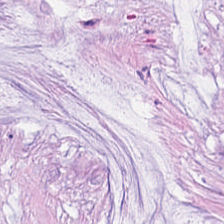H&E stain; formalin-fixed paraffin-embedded section. Predominant tissue — mucin.
